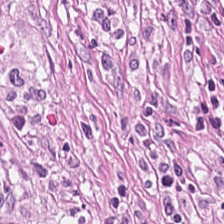Showing tumor stroma.
